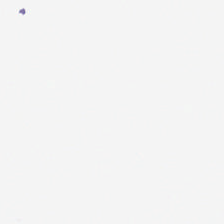Hematoxylin-and-eosin stained section. This patch shows background (no tissue).
